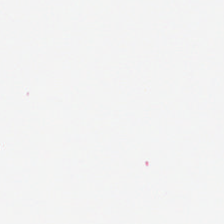FFPE. 224×224 px patch. H&E stain. Q: What is shown here?
A: It is no tissue.
